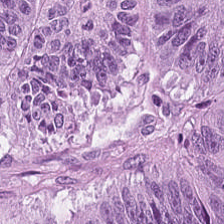Q: Identify the tissue.
A: The field shows malignant epithelium.
